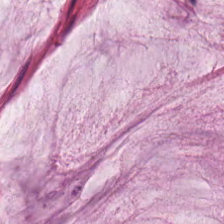Stain: H&E stain.
Resolution: 0.5 µm per pixel.
Preparation: formalin-fixed paraffin-embedded section.
Tissue class: mucin.
